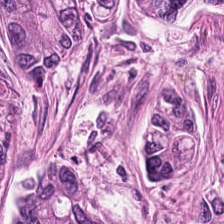H&E stain. FFPE — Finding → colorectal adenocarcinoma epithelium.
